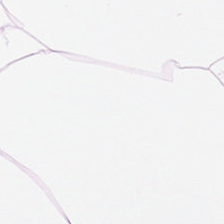H&E.
Histology — fat tissue.
